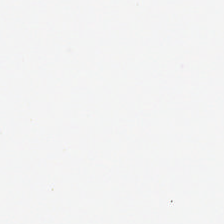The content is background (no tissue).
